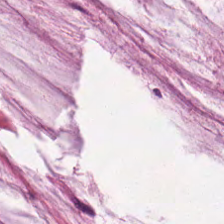Formalin-fixed paraffin-embedded section. Hematoxylin-and-eosin stained section. This field is mucus.
